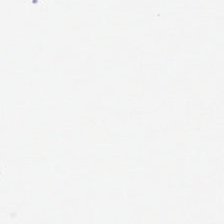224×224 px tile · hematoxylin-and-eosin stained section. Classification: background.
